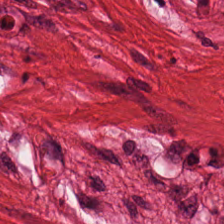Hematoxylin-and-eosin stained section · brightfield microscopy.
The predominant tissue is smooth muscle.
